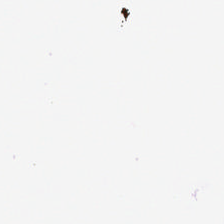Hematoxylin and eosin. Brightfield.
No tissue present; background only.
